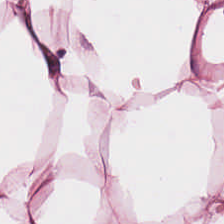Stain: H&E stain.
Tile size: 224×224 px tile.
Preparation: FFPE.
Tissue class: fat tissue.
